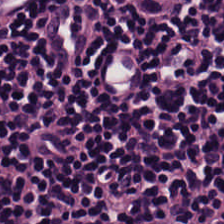Hematoxylin-and-eosin stained section.
The tissue here is lymphocytic infiltrate.
